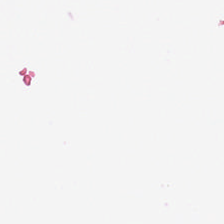FFPE. H&E stain. 224×224 pixel tile — Finding → empty background.
